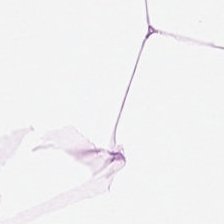H&E; formalin-fixed paraffin-embedded section; whole-slide-image patch. Q: What tissue is shown?
A: The field shows fat tissue.
